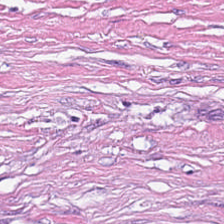Q: What is the predominant tissue type?
A: Tumor stroma.
